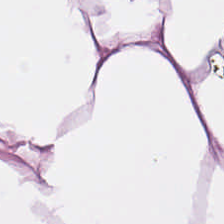H&E — adipocytes.
